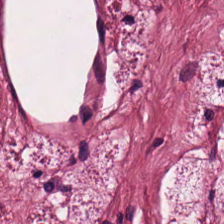H&E. Q: Classify this patch.
A: This is tumor-associated stroma.
